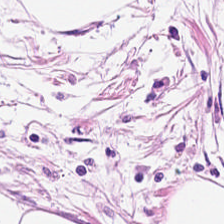WSI patch; H&E-stained tissue section; FFPE. Predominantly adipose.
